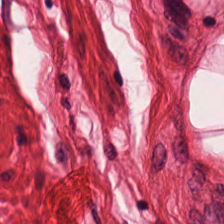H&E. 224×224 pixel tile. Brightfield — The tissue type is smooth-muscle tissue.
